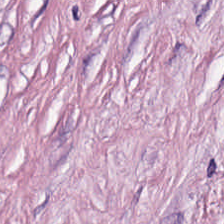H&E.
Predominant tissue — tumor-associated stroma.
